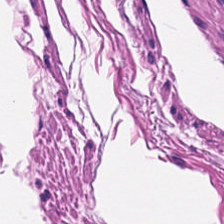H&E-stained tissue section. Smooth-muscle tissue.
